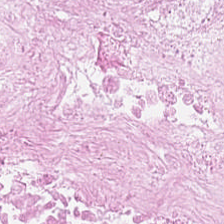Hematoxylin and eosin; FFPE; 0.5 µm per pixel.
Showing debris.
